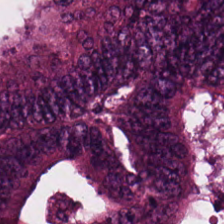WSI patch. H&E-stained tissue section — Histology — colorectal adenocarcinoma.
